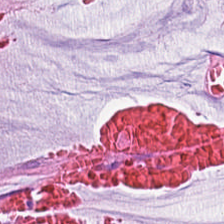Hematoxylin-and-eosin stained section. 0.5 µm/px.
Q: What is the predominant tissue type?
A: It is mucus.
